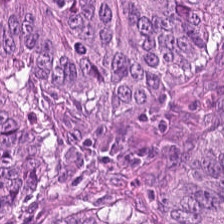Tissue type = malignant epithelium.
